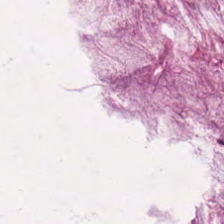H&E-stained section; the field shows mucin.
